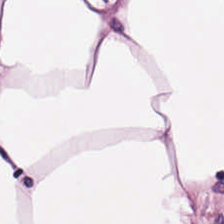Brightfield microscopy. H&E-stained tissue section — The tissue type is adipose.
